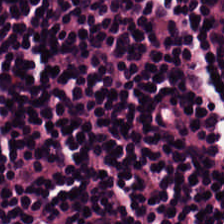Hematoxylin-and-eosin stained section · brightfield — Tissue = lymphocyte aggregate.
